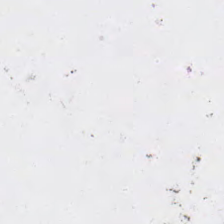H&E — Field content — empty background.
